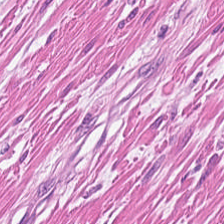H&E — Histology — smooth-muscle tissue.
